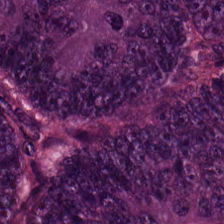H&E-stained tissue section · brightfield — Tissue type: colorectal adenocarcinoma epithelium.
